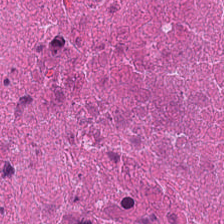Finding — debris.
